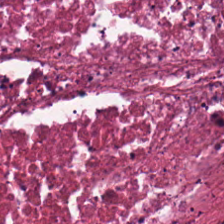The classification is debris.
